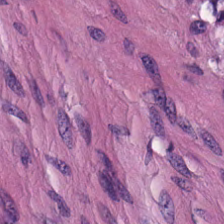H&E stain.
The tissue here is muscularis.
